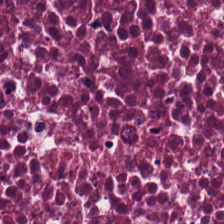Stain: H&E.
Tile size: 224×224 pixel tile.
Preparation: FFPE tissue section.
Tissue type: cellular debris.
